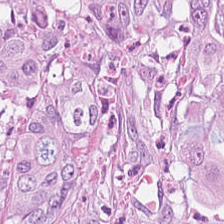224×224 px tile · H&E. This field is colorectal adenocarcinoma epithelium.
